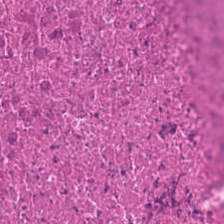Stain: H&E stain.
Preparation: FFPE.
Acquisition: whole-slide-image patch.
Tissue: necrotic debris.
